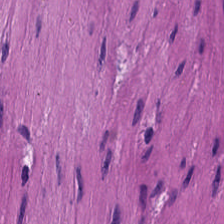Histology → smooth muscle.
